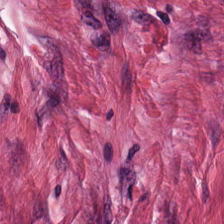Whole-slide-image patch; H&E.
The predominant tissue is desmoplastic stroma.
